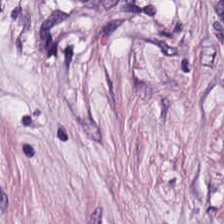Histology → cancer-associated stroma.
